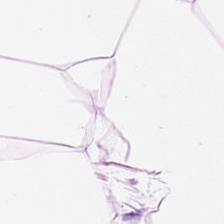Q: What is the predominant tissue type?
A: This is adipose.
